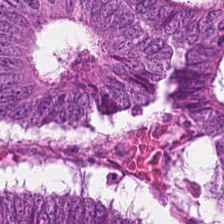Hematoxylin-and-eosin stained section. 0.5 µm per pixel — Q: Classify this patch.
A: This is adenocarcinoma.
